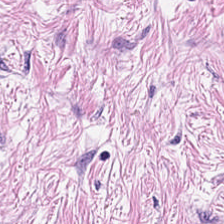224×224 px tile; H&E — Tissue type: tumor-associated stroma.
